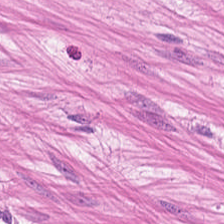Brightfield; H&E-stained tissue section; FFPE tissue section — Histology — smooth muscle.
